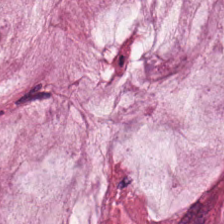Stain: H&E-stained tissue section.
Resolution: 0.5 µm/px.
Classification: mucus.
